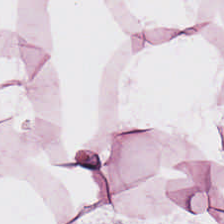H&E stain.
Finding → adipocytes.
